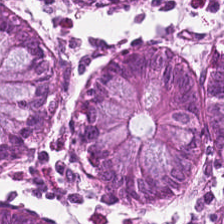Classification: benign colonic mucosa.
